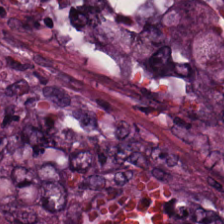Hematoxylin-and-eosin stained section — Tissue class — colorectal adenocarcinoma epithelium.
